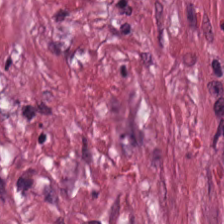Hematoxylin and eosin. Whole-slide-image patch — Tumor-associated stroma.
